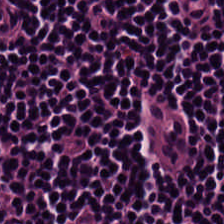WSI patch; hematoxylin and eosin — This field is lymphocytic infiltrate.
